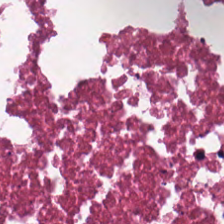H&E-stained tissue section. Q: What type of tissue is this?
A: It is debris.
